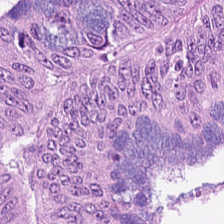WSI patch · formalin-fixed paraffin-embedded section · H&E-stained tissue section.
The tissue is malignant epithelium.
